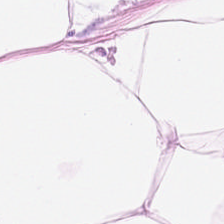H&E — Predominantly adipose.
